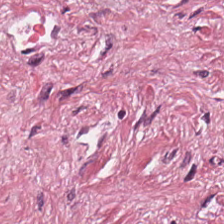Tissue — tumor stroma.
